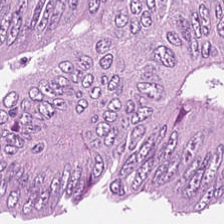Formalin-fixed paraffin-embedded section; hematoxylin-and-eosin stained section — Q: What is shown in this field?
A: It is colorectal adenocarcinoma.
